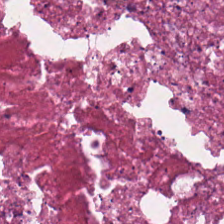This patch shows debris.
